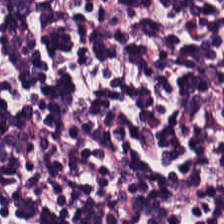H&E · 20× equivalent magnification.
Finding — lymphocytes.
